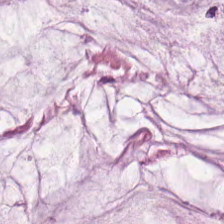Hematoxylin-and-eosin stained section.
Showing mucus.
